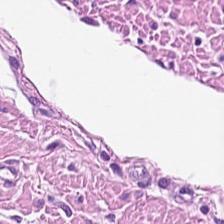H&E.
Tissue class: muscularis.
